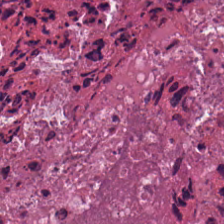Brightfield microscopy. Formalin-fixed paraffin-embedded section. Hematoxylin and eosin. Debris.
